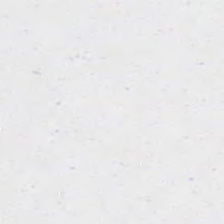Hematoxylin-and-eosin stained section. No tissue present; background only.
